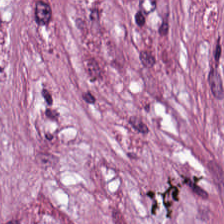H&E stain.
Q: Identify the tissue.
A: This is cancer-associated stroma.
